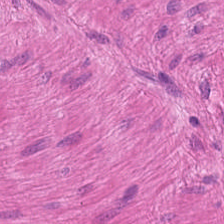Whole-slide-image patch · FFPE · H&E stain.
{"tissue_type": "smooth-muscle tissue"}
